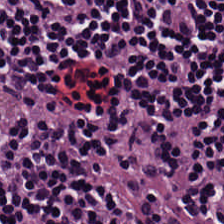Hematoxylin and eosin.
The predominant tissue is lymphoid infiltrate.
